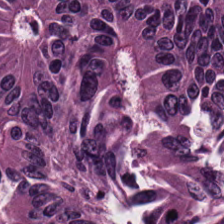Tissue class = adenocarcinoma.
